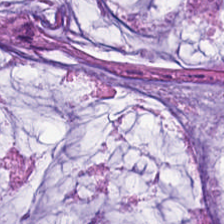Tissue class = extracellular mucin.
